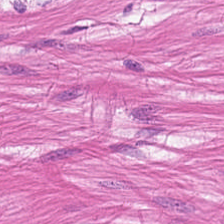Histology → muscularis.
